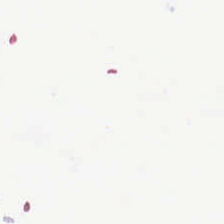Formalin-fixed paraffin-embedded section · 224×224 px tile · H&E stain.
Field content: empty background.
